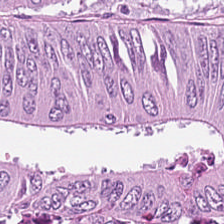Showing malignant epithelium.
